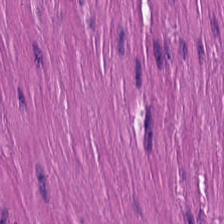H&E — Predominant tissue — smooth muscle.
